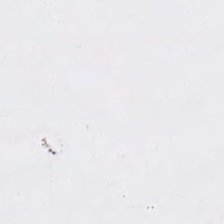H&E; brightfield microscopy — This field is background (no tissue).
